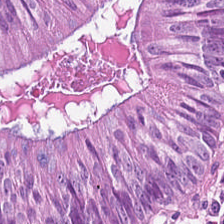Formalin-fixed paraffin-embedded section · hematoxylin and eosin — Q: What is shown here?
A: Malignant epithelium.
